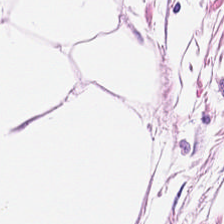224×224 px patch. H&E-stained tissue section — The classification is adipose.
